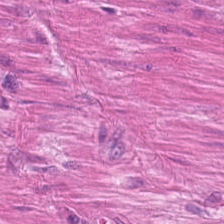H&E stain. Tissue class: smooth-muscle tissue.
